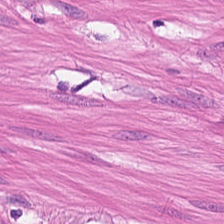Tissue: smooth-muscle tissue.
